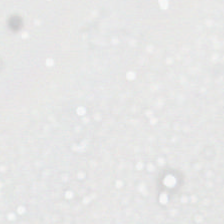Q: What is shown in this field?
A: Background (no tissue).
